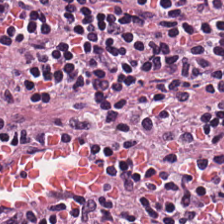224×224 px tile; 20× equivalent magnification; hematoxylin and eosin. The tissue here is lymphocyte aggregate.
